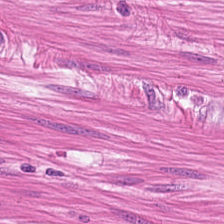Formalin-fixed paraffin-embedded section; H&E.
Muscularis.
